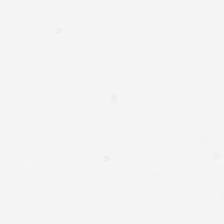Finding — background.
